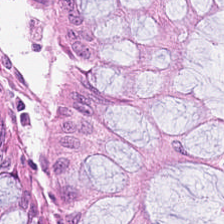H&E. Finding — non-neoplastic colon mucosa.
